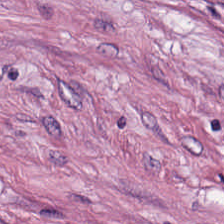H&E stain.
This patch shows tumor-associated stroma.
